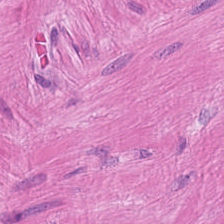H&E-stained tissue section; 224×224 pixel tile. Predominantly smooth muscle.
